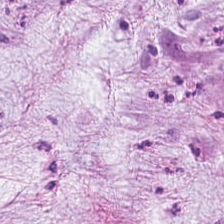Hematoxylin-and-eosin stained section.
The tissue here is extracellular mucin.
